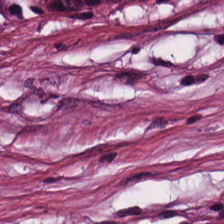Hematoxylin and eosin. Tissue: cancer-associated stroma.
